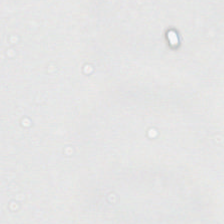0.5 microns per pixel. H&E-stained tissue section. No tissue present; background only.
